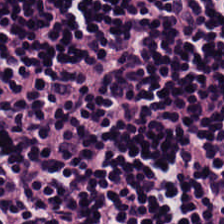Formalin-fixed paraffin-embedded section · H&E-stained tissue section.
Predominantly lymphoid infiltrate.
